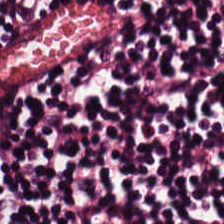Hematoxylin and eosin.
Predominantly lymphoid infiltrate.
